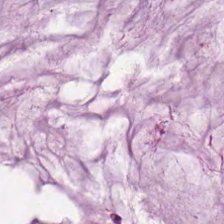Stain: hematoxylin and eosin.
Classification: mucus.
